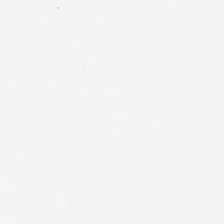Hematoxylin-and-eosin stained section · whole-slide-image patch. The content is background.
